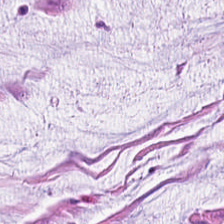Whole-slide-image patch; hematoxylin-and-eosin stained section.
The tissue class is mucin.
